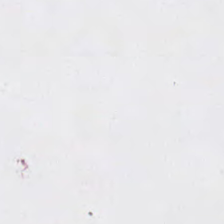Field content: empty background.
